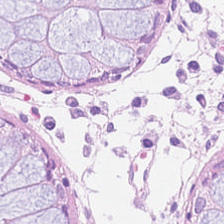H&E stain · 224×224 px patch.
Benign colonic mucosa.
